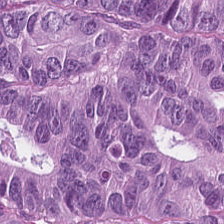H&E-stained tissue section — Q: What is shown here?
A: The field shows malignant epithelium.
